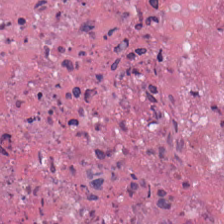H&E stain — Histology — necrotic debris.
